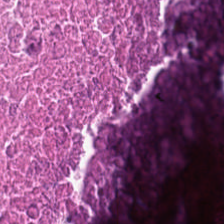Hematoxylin-and-eosin stained section · FFPE tissue section — Tissue type = necrotic debris.
